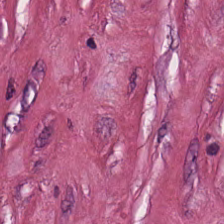The predominant tissue is cancer-associated stroma.
